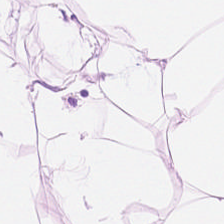H&E — The predominant tissue is adipocytes.
